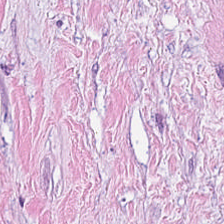Hematoxylin and eosin · FFPE tissue section · 0.5 µm/px. This field is desmoplastic stroma.
